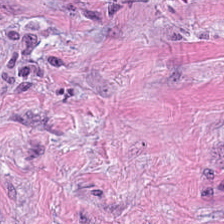Hematoxylin-and-eosin stained section. Tissue: tumor stroma.
